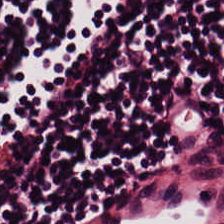H&E; 224×224 px patch — Q: What is the predominant tissue type?
A: Lymphocytic infiltrate.
